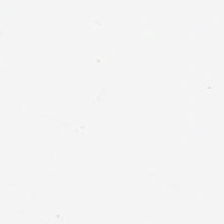Brightfield microscopy · 0.5 µm per pixel · H&E-stained tissue section. Content: empty background.
